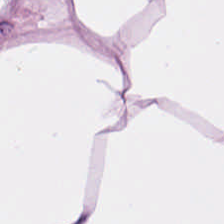Hematoxylin-and-eosin stained section. Q: What is shown here?
A: The field shows adipose.
